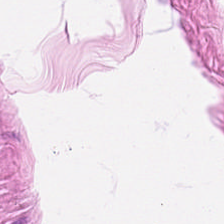Brightfield microscopy; H&E; 0.5 µm per pixel. Predominantly smooth muscle.
